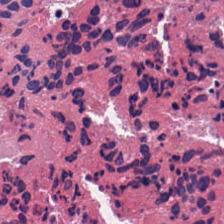H&E stain; FFPE tissue section. Q: What type of tissue is this?
A: The field shows necrotic debris.
